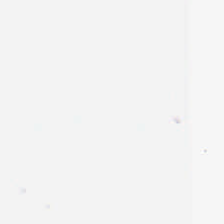Hematoxylin-and-eosin stained section — Impression → no tissue.
